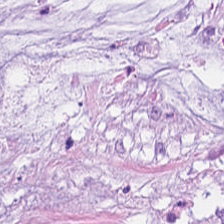H&E stain; brightfield. The tissue here is mucin.
